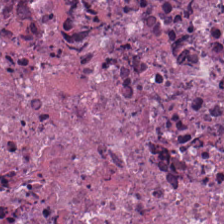Hematoxylin and eosin. 20× equivalent magnification. Tissue type = necrotic debris.
